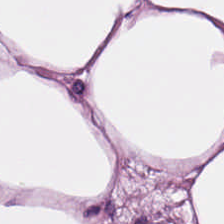H&E-stained tissue section. Tissue type: adipose.
